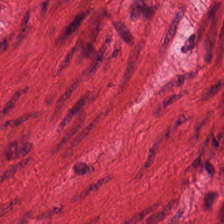0.5 µm/px. H&E-stained tissue section — Q: What is shown here?
A: The field shows smooth-muscle tissue.
